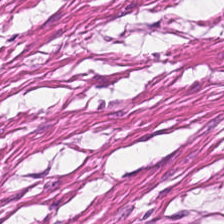H&E — Predominantly muscularis.
